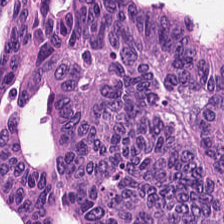Tissue type = malignant epithelium.
